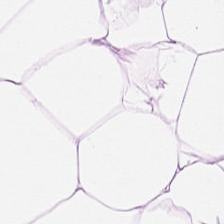Classification = adipocytes.
